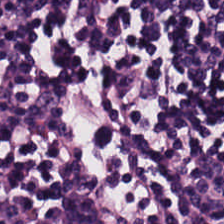H&E stain. Tissue type = lymphoid infiltrate.
